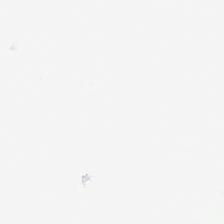Hematoxylin and eosin; formalin-fixed paraffin-embedded section — Q: What is shown in this field?
A: The field shows empty background.
